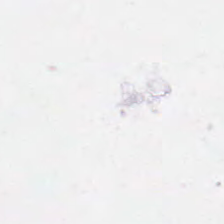H&E — No tissue.
